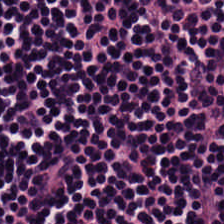The tissue is lymphocytic infiltrate.
